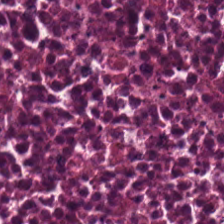Stain: H&E stain.
Acquisition: WSI patch.
Tissue: debris.
